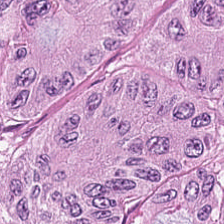Hematoxylin and eosin. 224×224 px tile. FFPE.
The classification is colorectal adenocarcinoma epithelium.
